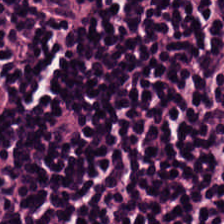Tissue class — lymphocytes.
